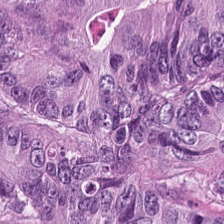Brightfield. H&E stain. Tissue type — adenocarcinoma.
